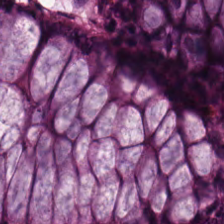Hematoxylin-and-eosin stained section — The tissue here is normal colonic mucosa.
